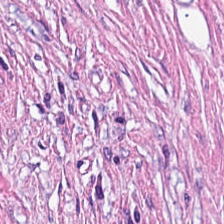Hematoxylin-and-eosin stained section. 224×224 px tile.
Tissue class: tumor stroma.
